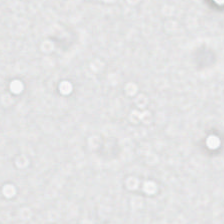Stain: H&E stain.
Classification: background.
